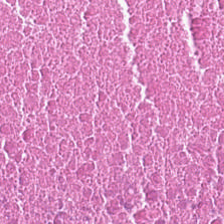Hematoxylin-and-eosin stained section.
Tissue class: cellular debris.
